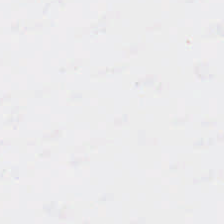Stain: H&E-stained tissue section.
Content: background.
